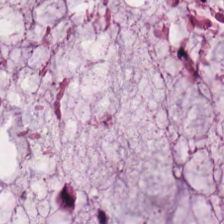Hematoxylin and eosin.
{"tissue_type": "mucin"}
